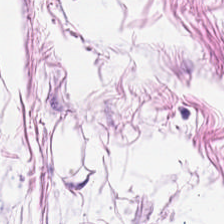224×224 px tile; H&E stain.
Impression — fat tissue.
